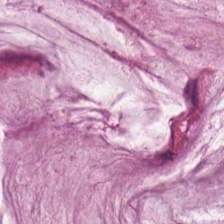H&E-stained tissue section.
The predominant tissue is mucin.
